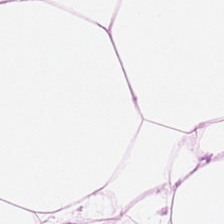H&E stain. Finding — adipose.
